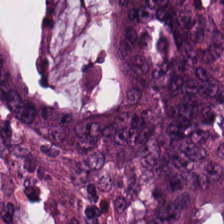H&E-stained tissue section showing tumor epithelium.
